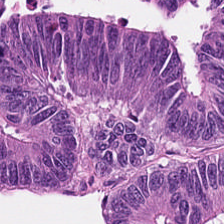0.5 µm/px; H&E stain; 224×224 pixel tile.
Q: What does this patch show?
A: The field shows colorectal adenocarcinoma epithelium.
